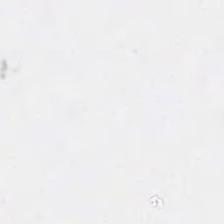Formalin-fixed paraffin-embedded section. 224×224 px patch. Hematoxylin-and-eosin stained section. The classification is background (no tissue).
